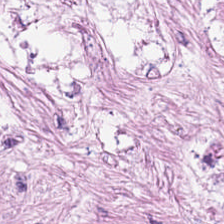{"tissue_type": "tumor-associated stroma"}
